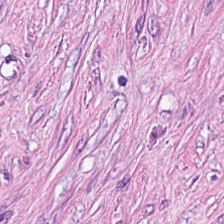H&E; 224×224 px patch — The predominant tissue is cancer-associated stroma.
